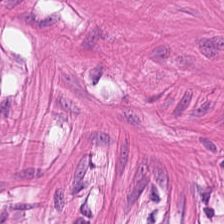H&E patch showing smooth-muscle tissue.
